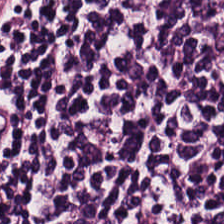224×224 px patch. 0.5 µm/px. H&E stain.
Q: What tissue is shown?
A: It is lymphocytic infiltrate.
